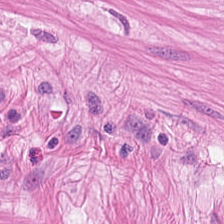FFPE. Hematoxylin and eosin.
The tissue here is smooth muscle.
